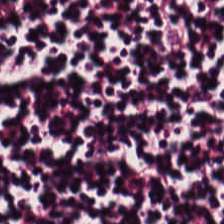H&E-stained tissue section showing lymphocytic infiltrate.
